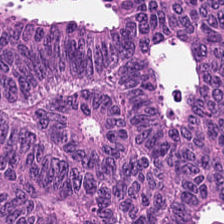FFPE; hematoxylin-and-eosin stained section — Finding — colorectal adenocarcinoma.
